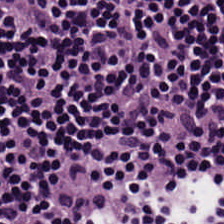Showing lymphoid infiltrate.
